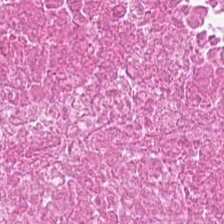Hematoxylin and eosin · 0.5 microns per pixel · brightfield. Tissue = cellular debris.
